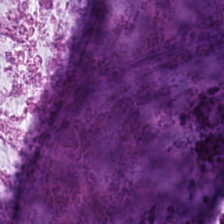224×224 pixel tile; H&E-stained tissue section.
Showing extracellular mucin.
